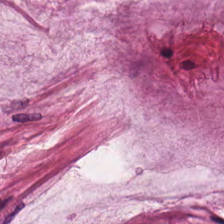Classification — mucus.
